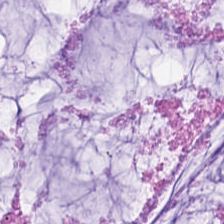Tissue class — extracellular mucin.
